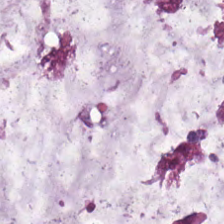Q: Classify this patch.
A: It is mucus.
